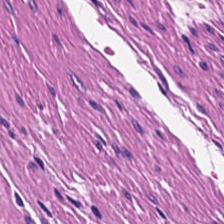224×224 px tile; 0.5 µm per pixel; hematoxylin-and-eosin stained section.
Predominantly smooth-muscle tissue.
